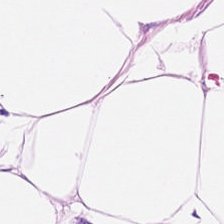H&E stain — Tissue class: adipose tissue.
